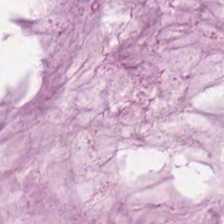The classification is mucus.
